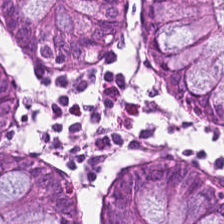H&E.
Tissue — normal colonic mucosa.
